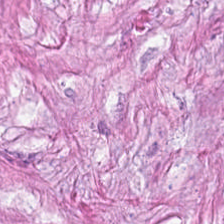FFPE; 0.5 microns per pixel; hematoxylin and eosin — Tissue class: tumor-associated stroma.
